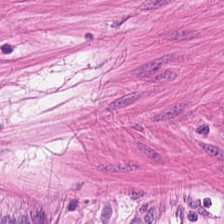Hematoxylin and eosin. Muscularis.
